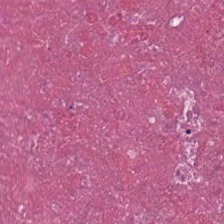H&E; 224×224 pixel tile — Q: What tissue is shown?
A: It is debris.
